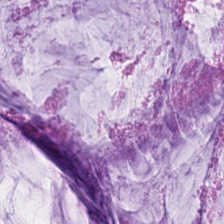H&E-stained tissue section. Classification = mucin.
